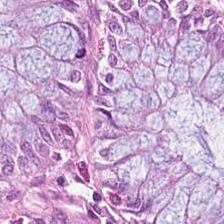Q: What is the predominant tissue type?
A: Normal colon mucosa.
